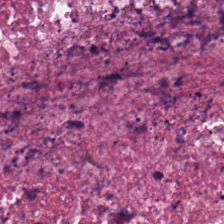Hematoxylin and eosin.
Classification = necrotic debris.
